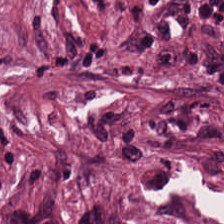H&E.
Q: What tissue type is shown here?
A: This is tumor stroma.
